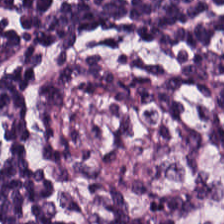Stain: hematoxylin and eosin.
Predominant tissue: lymphocytes.
